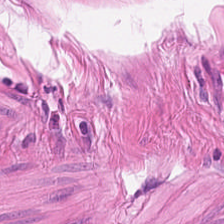Stain: hematoxylin-and-eosin stained section.
Predominant tissue: smooth-muscle tissue.
